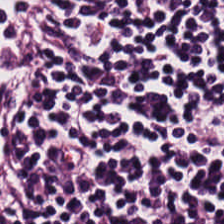Stain: hematoxylin and eosin.
Preparation: FFPE tissue section.
Predominant tissue: lymphoid infiltrate.
